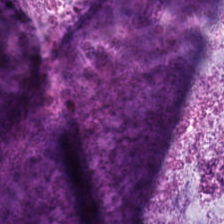Whole-slide-image patch · hematoxylin-and-eosin stained section — Tissue class: mucus.
